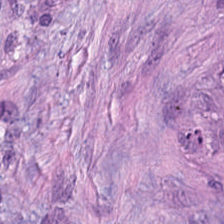Q: Classify this patch.
A: This is cancer-associated stroma.
